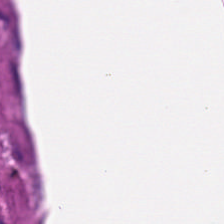H&E-stained tissue section. The predominant tissue is muscularis.
